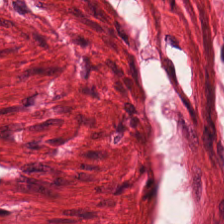H&E · brightfield.
Histology — smooth muscle.
